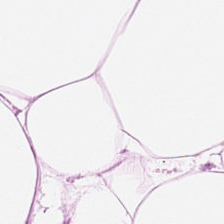FFPE tissue section. H&E-stained tissue section — The tissue here is adipose.
